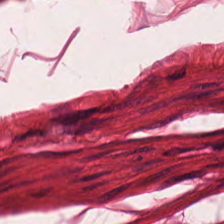H&E patch showing muscularis.
